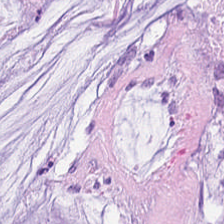H&E-stained tissue section.
Q: What tissue is shown?
A: The field shows mucin.
